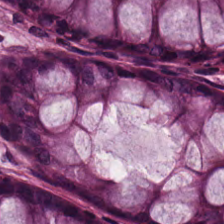Hematoxylin-and-eosin stained section.
Impression → benign colonic mucosa.
